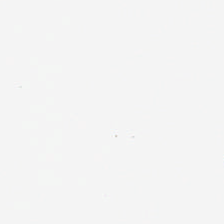Formalin-fixed paraffin-embedded section · H&E-stained tissue section. This patch shows empty background.
